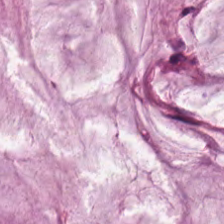H&E.
Tissue type = mucus.
